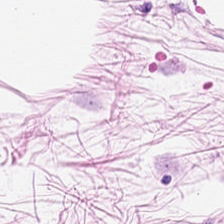{"tissue_type": "adipose tissue"}
